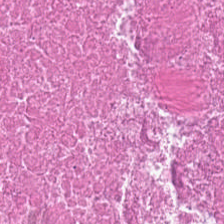FFPE tissue section. Hematoxylin and eosin. 224×224 px patch. Classification: necrotic debris.
